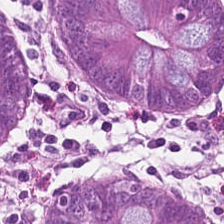Stain: H&E-stained tissue section.
Resolution: 0.5 microns per pixel.
Preparation: FFPE.
Tissue: normal colon mucosa.
